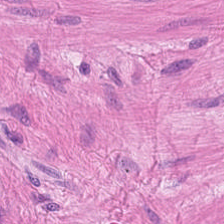0.5 µm per pixel. Hematoxylin-and-eosin stained section — Tissue: muscularis.
